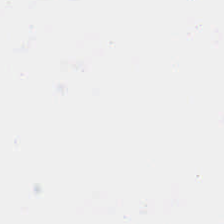H&E-stained tissue section — This patch shows empty background.
